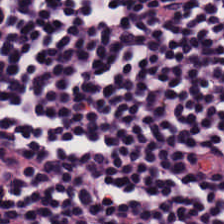Hematoxylin-and-eosin stained section · 0.5 µm per pixel.
The predominant tissue is lymphoid infiltrate.
